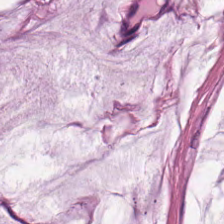Classification = mucus.
